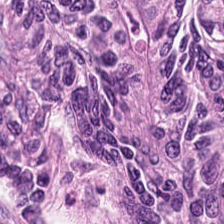Stain: hematoxylin-and-eosin stained section.
Tissue: colorectal adenocarcinoma epithelium.
